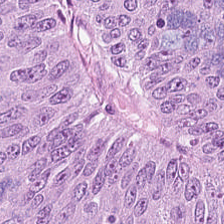Colorectal adenocarcinoma.
